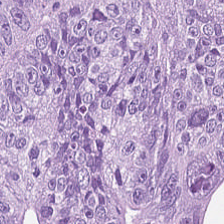Hematoxylin-and-eosin stained section; FFPE.
The predominant tissue is colorectal adenocarcinoma epithelium.
